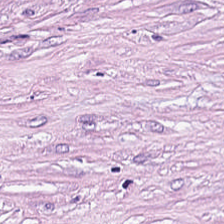H&E-stained tissue section showing tumor stroma.
